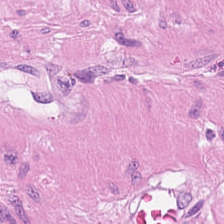Tissue type = smooth muscle.
